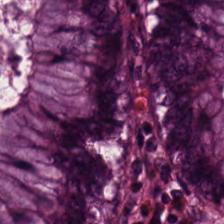Tissue class: non-neoplastic colon mucosa.
